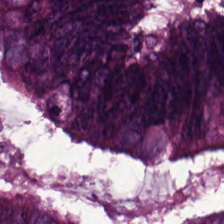H&E-stained tissue section. WSI patch.
Tissue type — tumor epithelium.
